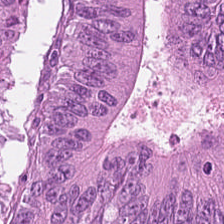H&E — Colorectal adenocarcinoma epithelium.
